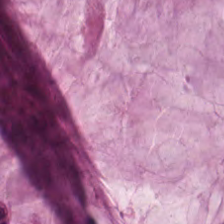Hematoxylin-and-eosin stained section · 0.5 µm per pixel · formalin-fixed paraffin-embedded section.
Q: What is shown in this field?
A: Mucin.
